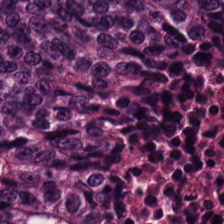H&E-stained tissue section. 224×224 pixel tile.
The tissue here is adenocarcinoma.
